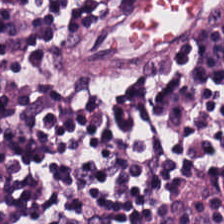Stain: H&E.
Tissue: lymphocyte aggregate.
